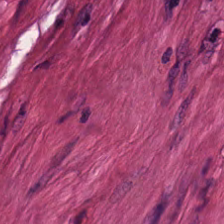H&E; brightfield — The tissue here is smooth muscle.
